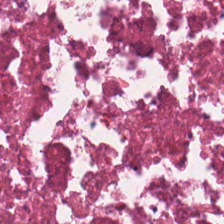H&E-stained tissue section.
Impression → cellular debris.
